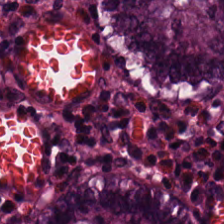H&E stain. FFPE.
Finding → normal colonic mucosa.
